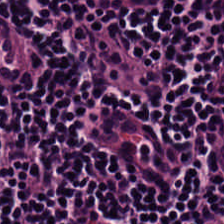Hematoxylin-and-eosin stained section.
{"tissue_type": "lymphoid infiltrate"}
